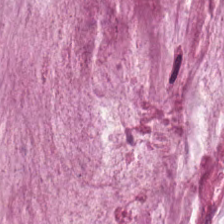This patch shows extracellular mucin.
